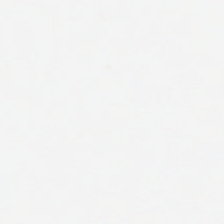H&E-stained tissue section — Impression — no tissue.
